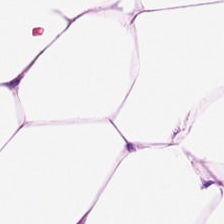{"tissue_type": "adipocytes"}
